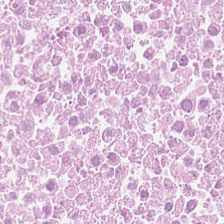H&E. The tissue is cellular debris.
